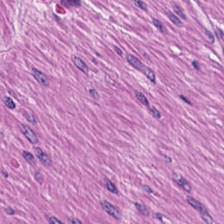Hematoxylin-and-eosin stained section; 0.5 µm per pixel; WSI patch.
The tissue here is smooth muscle.
